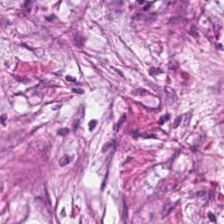224×224 pixel tile; H&E-stained tissue section; 20× equivalent magnification.
Q: What tissue type is shown here?
A: The field shows tumor-associated stroma.
